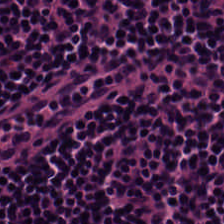H&E stain — Predominant tissue = lymphoid infiltrate.
